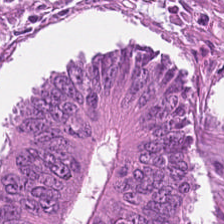Impression — colorectal adenocarcinoma.
